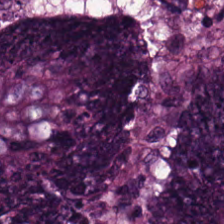H&E stain — The predominant tissue is adenocarcinoma.
